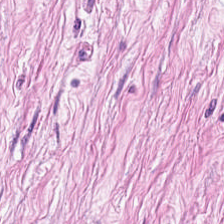Stain: hematoxylin and eosin.
Tissue type: desmoplastic stroma.
